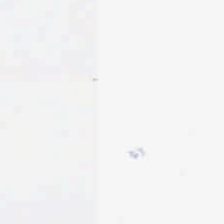Hematoxylin and eosin · 224×224 pixel tile. Impression — background.
